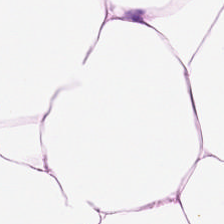H&E stain · WSI patch.
Finding → adipose.
